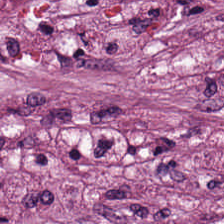Hematoxylin-and-eosin stained section — Q: Identify the tissue.
A: The field shows tumor stroma.
